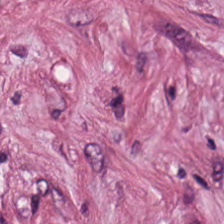Q: What tissue type is shown here?
A: Tumor-associated stroma.
